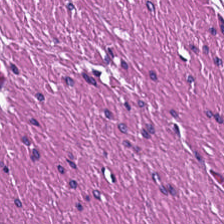{"tissue_type": "smooth muscle"}
